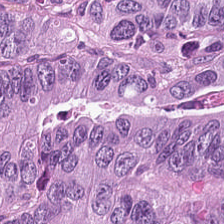H&E-stained tissue section. Predominantly malignant epithelium.
